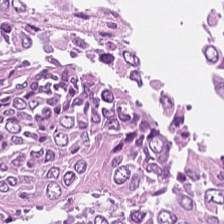Tissue type — malignant epithelium.
